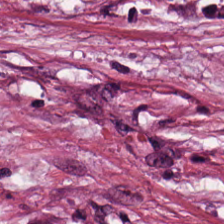0.5 µm per pixel. FFPE. H&E-stained tissue section. Tumor stroma.
